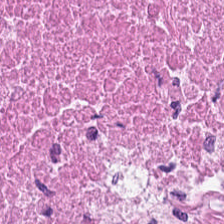Brightfield microscopy. H&E stain — The predominant tissue is debris.
